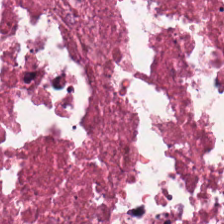Hematoxylin-and-eosin stained section — Impression → debris.
